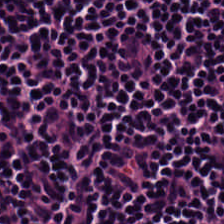Classification: lymphocytic infiltrate.
